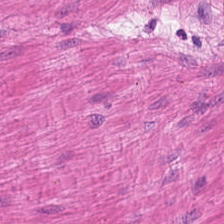The predominant tissue is smooth-muscle tissue.
